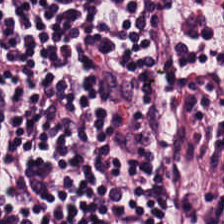H&E-stained tissue section — Showing lymphocytes.
